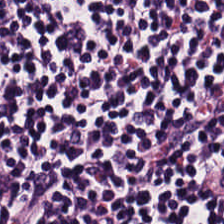H&E-stained tissue section.
Finding — lymphocyte aggregate.
